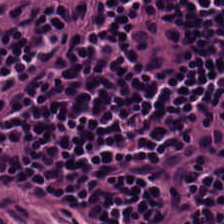This patch shows lymphocyte aggregate.
